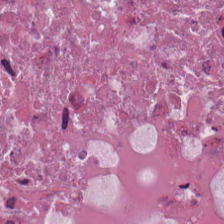Hematoxylin and eosin.
Predominant tissue: debris.
